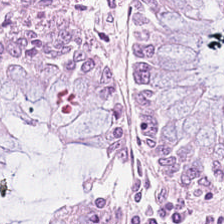Stain: H&E stain.
Tissue: non-neoplastic colon mucosa.
